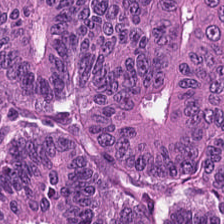H&E — Tissue type: malignant epithelium.
